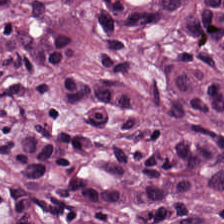H&E · 224×224 px tile — The tissue class is malignant epithelium.
